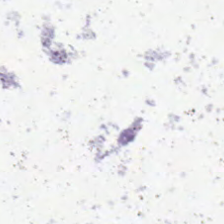Background — no tissue in this field.
